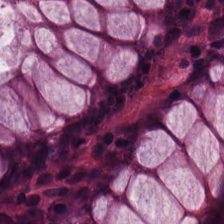H&E-stained tissue section — Predominantly non-neoplastic colon mucosa.
